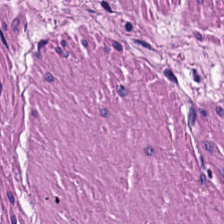H&E-stained tissue section. Brightfield.
Classification — smooth muscle.
